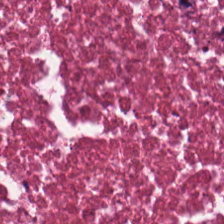224×224 px patch · H&E. This field is cellular debris.
